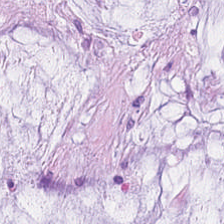This patch shows mucin.
